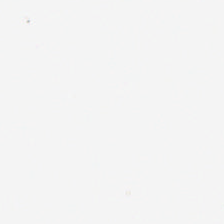Hematoxylin and eosin; 0.5 µm/px.
Background — no tissue in this field.
